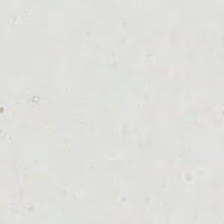H&E. FFPE — Finding — background (no tissue).
